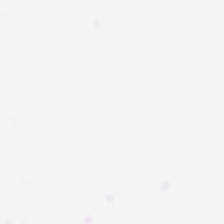No tissue present; background only.
